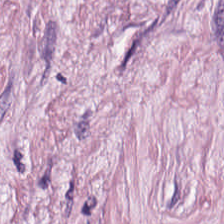Hematoxylin and eosin. Desmoplastic stroma.
